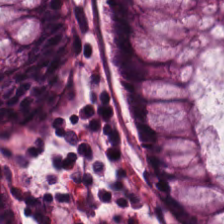H&E stain · 0.5 µm/px.
Non-neoplastic colon mucosa.
